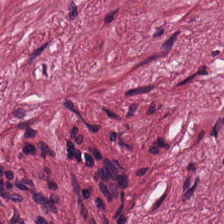0.5 µm per pixel; hematoxylin and eosin — Predominantly cancer-associated stroma.
